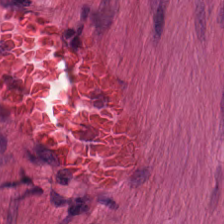H&E stain. 20× equivalent magnification. 224×224 pixel tile.
Predominant tissue: muscularis.
